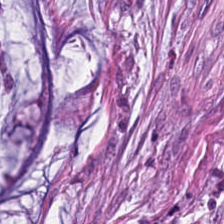H&E stain. 0.5 microns per pixel. Brightfield.
Impression — mucin.
